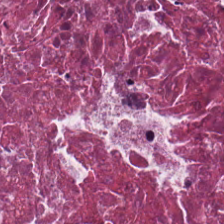H&E. Showing necrotic debris.
